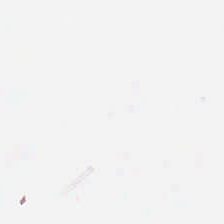Hematoxylin and eosin. Content = background (no tissue).
